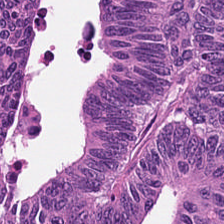Stain: hematoxylin-and-eosin stained section.
Tissue: colorectal adenocarcinoma.
